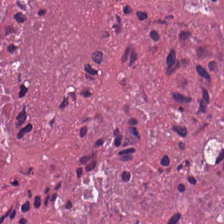Stain: hematoxylin-and-eosin stained section.
Classification: cellular debris.
